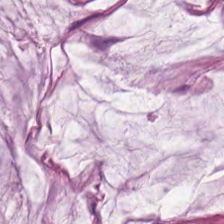Brightfield. 0.5 µm/px. Hematoxylin and eosin. Tissue type = mucin.
